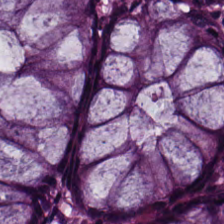Histology → normal colonic mucosa.
